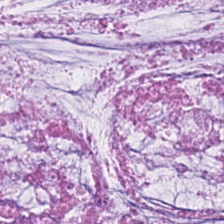224×224 px tile; formalin-fixed paraffin-embedded section; hematoxylin-and-eosin stained section. This field is extracellular mucin.
